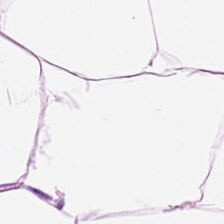Hematoxylin and eosin — Classification: adipocytes.
